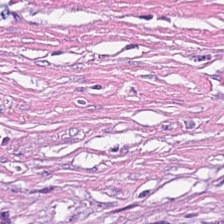Tissue class = desmoplastic stroma.
